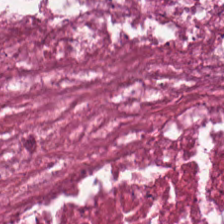H&E-stained tissue section.
The tissue here is cellular debris.
